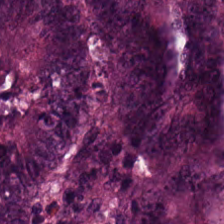Hematoxylin and eosin — This field is malignant epithelium.
